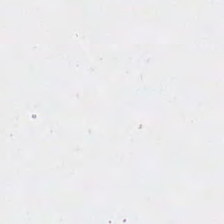Hematoxylin-and-eosin stained section.
Finding — background.
